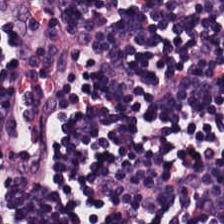H&E-stained tissue section.
The tissue class is lymphocyte aggregate.
